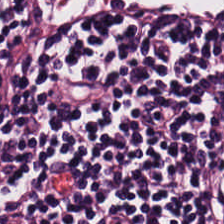Stain: H&E stain.
Acquisition: brightfield microscopy.
Tissue: lymphocytic infiltrate.
